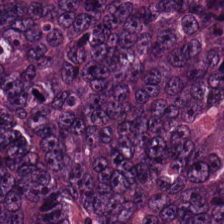224×224 pixel tile; H&E-stained tissue section; 0.5 microns per pixel. Classification = adenocarcinoma.
